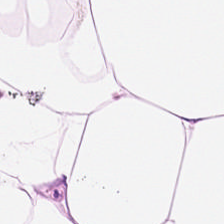Tissue: adipose tissue.
